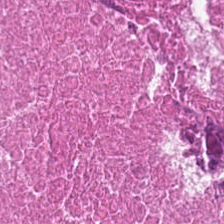Hematoxylin-and-eosin stained section — Q: What tissue is shown?
A: Debris.
